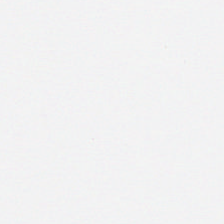Stain: hematoxylin-and-eosin stained section.
Tile size: 224×224 px patch.
Content: background (no tissue).
